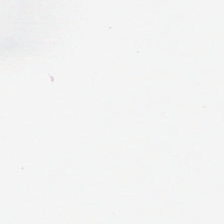H&E-stained tissue section. Q: What does this patch show?
A: The field shows empty background.
